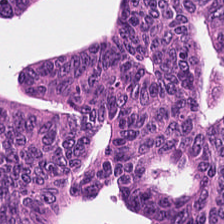This patch shows colorectal adenocarcinoma epithelium.
